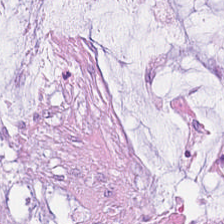H&E stain — The tissue here is mucus.
